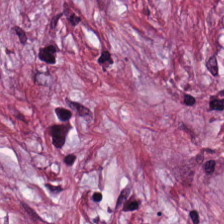Stain: H&E stain.
Acquisition: brightfield microscopy.
Predominant tissue: desmoplastic stroma.
